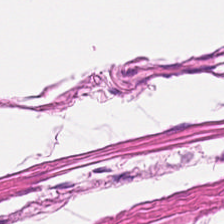H&E · 224×224 px tile. Predominant tissue: muscularis.
